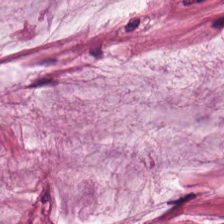224×224 px tile · 0.5 µm/px · hematoxylin-and-eosin stained section. The predominant tissue is mucus.
